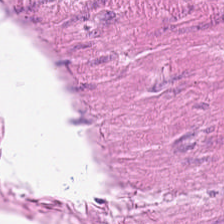H&E-stained tissue section.
Q: What is shown here?
A: This is smooth-muscle tissue.
